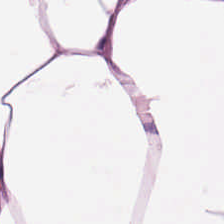FFPE tissue section; H&E-stained tissue section. Tissue = adipose tissue.
